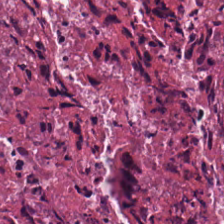Hematoxylin-and-eosin stained section. Predominantly debris.
